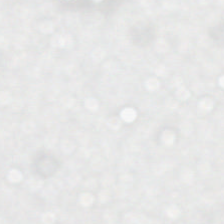H&E. Q: What is shown in this field?
A: This is background.
